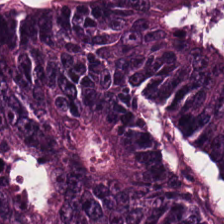Hematoxylin-and-eosin stained section.
Tissue: adenocarcinoma.
